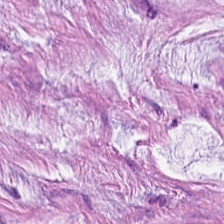Stain: hematoxylin-and-eosin stained section.
Tile size: 224×224 pixel tile.
Predominant tissue: mucin.
